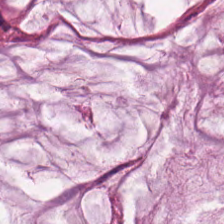H&E stain. Q: What type of tissue is this?
A: It is mucus.
